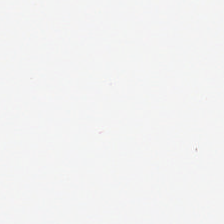Finding — empty background.
